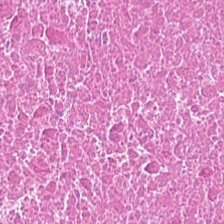224×224 px tile. H&E. This field is debris.
